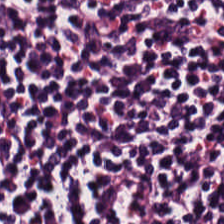Whole-slide-image patch · hematoxylin-and-eosin stained section. {"tissue_type": "lymphoid infiltrate"}
